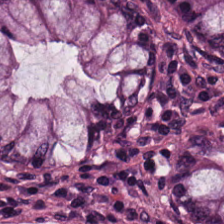Hematoxylin-and-eosin stained section. 20× equivalent magnification. Whole-slide-image patch — Impression → non-neoplastic colon mucosa.
